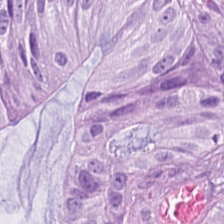H&E; FFPE tissue section. Classification: malignant epithelium.
